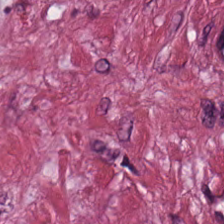H&E · 20× equivalent magnification — {"tissue_type": "desmoplastic stroma"}
